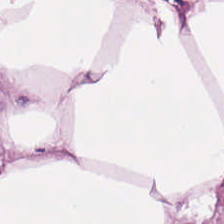H&E stain; FFPE.
Tissue type: adipose tissue.
